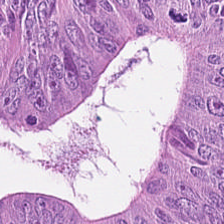Histology — colorectal adenocarcinoma epithelium.
